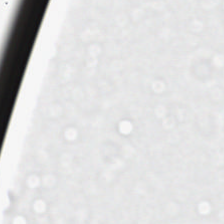H&E stain. Q: What is shown here?
A: This is no tissue.
